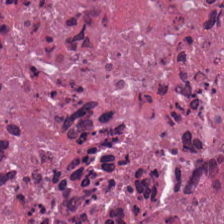Cellular debris.
